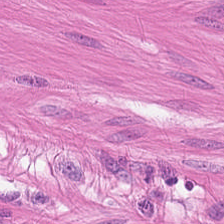Stain: H&E-stained tissue section.
Classification: smooth-muscle tissue.
